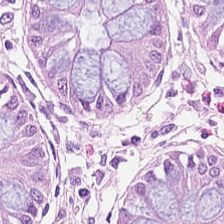H&E-stained tissue section. Q: What is the predominant tissue type?
A: The field shows normal colonic mucosa.
